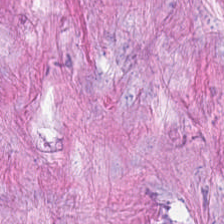Stain: hematoxylin and eosin.
Tissue type: tumor stroma.
